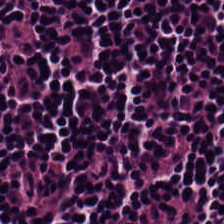Stain: H&E stain.
Tissue: lymphocyte aggregate.
